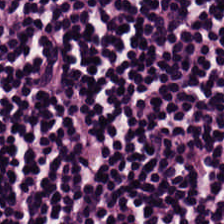Hematoxylin and eosin. This field is lymphocytes.
